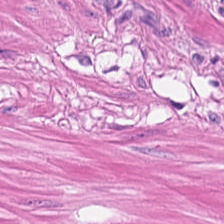H&E.
Classification = smooth-muscle tissue.
